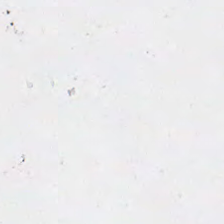Stain: hematoxylin-and-eosin stained section.
Tile size: 224×224 px patch.
Preparation: formalin-fixed paraffin-embedded section.
Content: no tissue.
